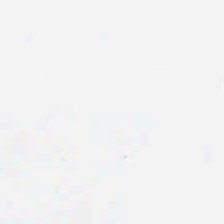WSI patch; H&E stain.
The field content is empty background.
